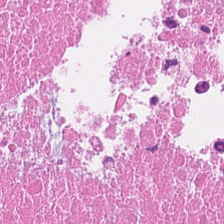Formalin-fixed paraffin-embedded section. H&E.
The tissue here is cellular debris.
